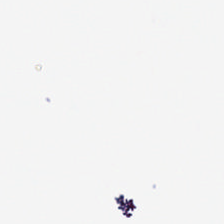H&E-stained tissue section; 224×224 px patch.
This field is background (no tissue).
